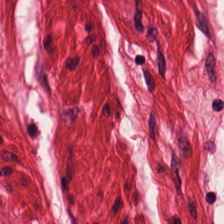H&E stain; FFPE. This field is smooth muscle.
